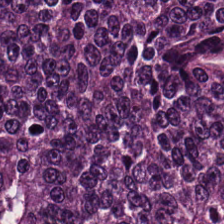Hematoxylin-and-eosin stained section.
Predominant tissue = tumor epithelium.
